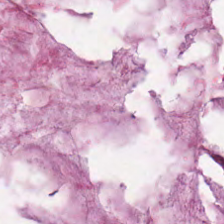Mucus.
